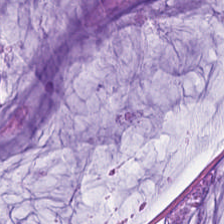H&E-stained tissue section. Q: What type of tissue is this?
A: It is mucus.
